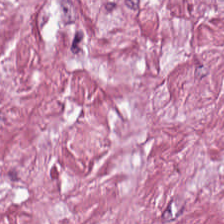Hematoxylin-and-eosin section: cancer-associated stroma.
